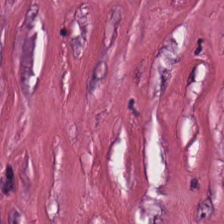Stain: H&E.
Predominant tissue: tumor-associated stroma.
